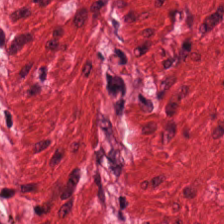Hematoxylin and eosin · 0.5 µm per pixel.
Classification: smooth-muscle tissue.
